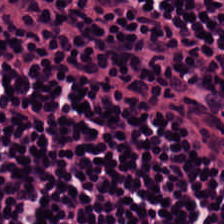Hematoxylin-and-eosin stained section. This field is lymphocytes.
